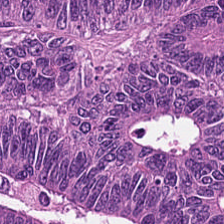Brightfield. H&E — The tissue class is colorectal adenocarcinoma epithelium.
